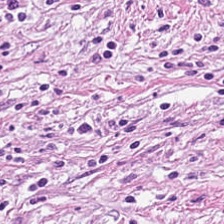H&E. 224×224 px patch.
Q: What is the predominant tissue type?
A: This is tumor-associated stroma.
